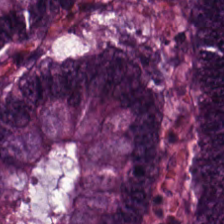H&E. This field is colorectal adenocarcinoma epithelium.
